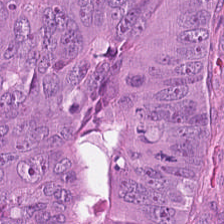H&E stain. Adenocarcinoma.
